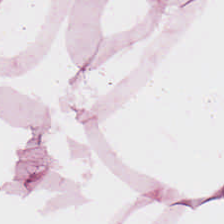H&E — Q: What tissue is shown?
A: This is adipocytes.
